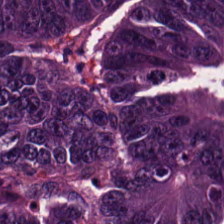0.5 microns per pixel. Hematoxylin-and-eosin stained section. WSI patch.
The predominant tissue is adenocarcinoma.
